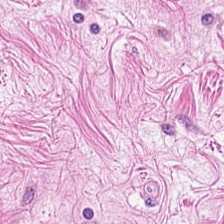Stain: H&E.
Tissue type: smooth-muscle tissue.
